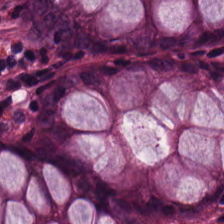224×224 px patch; hematoxylin and eosin; FFPE. Showing benign colonic mucosa.
